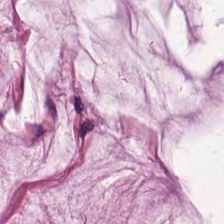Hematoxylin-and-eosin stained section; 224×224 px tile — Tissue type: mucin.
